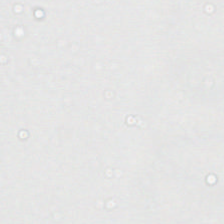Stain: H&E.
Classification: no tissue.
